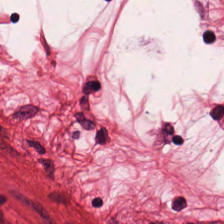The predominant tissue is muscularis.
